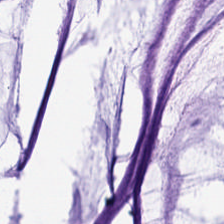H&E. 0.5 microns per pixel. Mucus.
